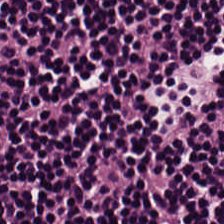224×224 pixel tile. 0.5 µm per pixel. H&E stain. Finding → lymphocyte aggregate.
